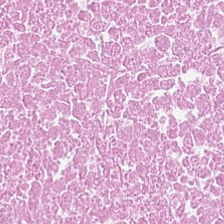Histology — cellular debris.
